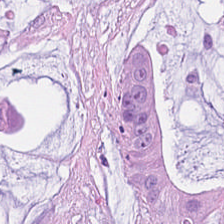Hematoxylin and eosin; 0.5 microns per pixel — Q: What type of tissue is this?
A: It is mucin.
